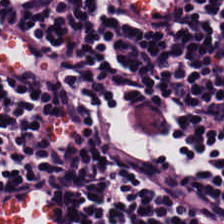224×224 px tile; WSI patch; H&E stain.
This field is lymphocytic infiltrate.
